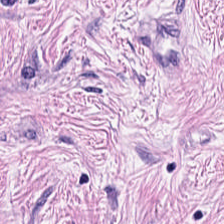Histology → tumor-associated stroma.
